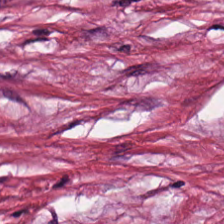H&E stain — The predominant tissue is tumor-associated stroma.
